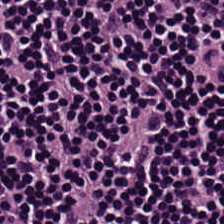FFPE · H&E stain.
The predominant tissue is lymphocytes.
